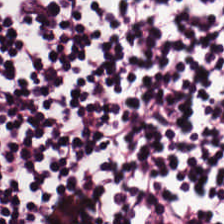224×224 pixel tile; FFPE tissue section; H&E-stained tissue section — The predominant tissue is lymphocytes.
